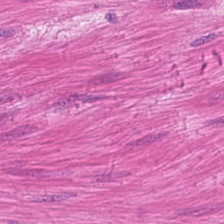Hematoxylin and eosin. The tissue is muscularis.
